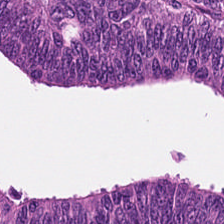H&E stain.
Impression → tumor epithelium.
